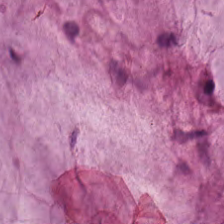FFPE. H&E stain.
Histology → mucin.
